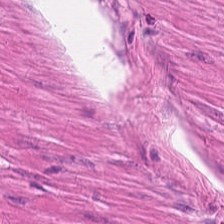H&E stain; FFPE. Q: What is shown in this field?
A: It is smooth muscle.
